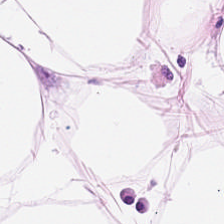Showing adipose.
